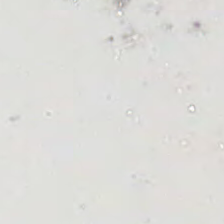224×224 px tile · hematoxylin and eosin · 0.5 microns per pixel.
Background — no tissue in this field.
